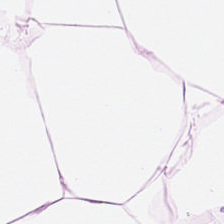H&E-stained tissue section; FFPE tissue section; 224×224 px patch.
Q: What is shown in this field?
A: This is adipose tissue.
